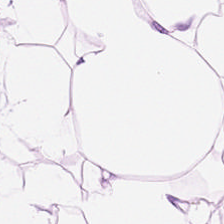Hematoxylin and eosin. Q: What is shown in this field?
A: Fat tissue.
